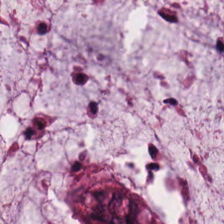Classification — mucus.
